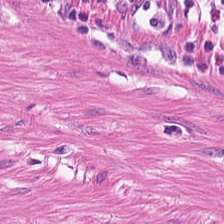H&E · 224×224 pixel tile · 20× equivalent magnification.
Q: What tissue type is shown here?
A: The field shows muscularis.
